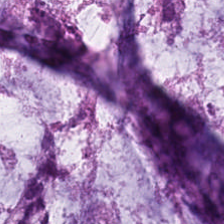{"tissue_type": "extracellular mucin"}
